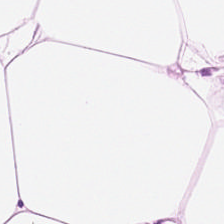H&E stain. WSI patch. Adipocytes.
